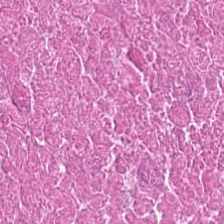Stain: H&E-stained tissue section.
Predominant tissue: necrotic debris.
